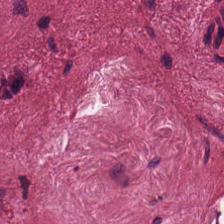Stain: hematoxylin and eosin.
Predominant tissue: cancer-associated stroma.
